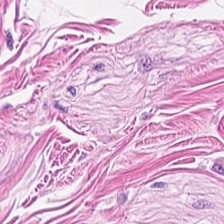WSI patch · H&E-stained tissue section.
This field is muscularis.
